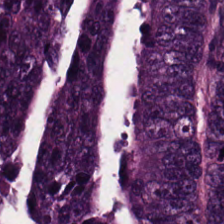H&E — The tissue here is malignant epithelium.
